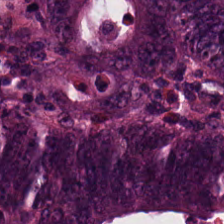Hematoxylin and eosin · 20× equivalent magnification. Q: What is shown here?
A: It is malignant epithelium.
